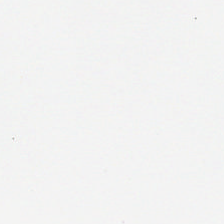H&E-stained tissue section — No tissue present; background only.
